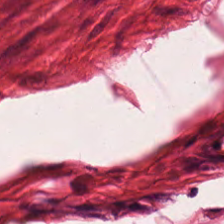H&E stain — Tissue class — smooth-muscle tissue.
